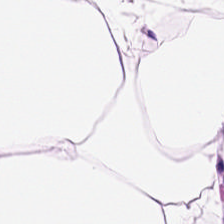Stain: H&E-stained tissue section.
Preparation: FFPE.
Acquisition: brightfield.
Classification: adipose.
